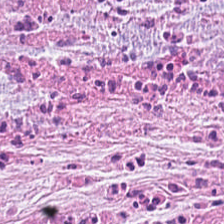Brightfield microscopy; 20× equivalent magnification; H&E stain — {"tissue_type": "tumor stroma"}
